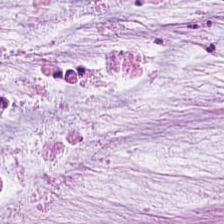Q: What does this patch show?
A: This is extracellular mucin.
